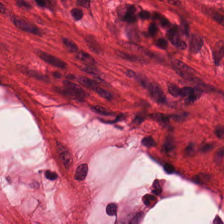Q: What does this patch show?
A: The field shows smooth-muscle tissue.
